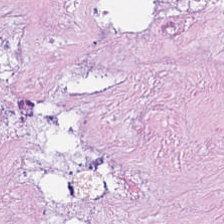Brightfield. H&E stain — Showing cellular debris.
